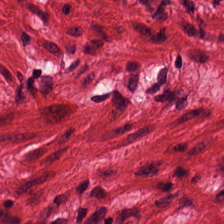H&E.
Showing muscularis.
